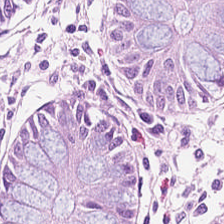H&E-stained tissue section. Showing non-neoplastic colon mucosa.
